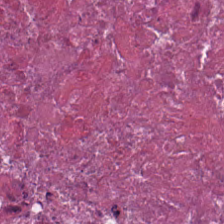The predominant tissue is cellular debris.
